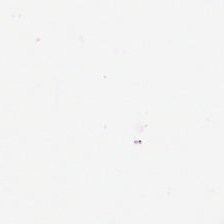Brightfield microscopy · hematoxylin-and-eosin stained section · 0.5 µm per pixel.
Classification — background.
